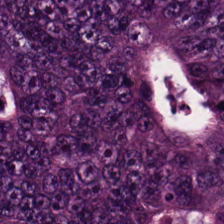H&E stain; 0.5 microns per pixel — The tissue here is colorectal adenocarcinoma.
